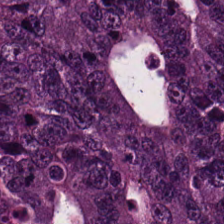This field is adenocarcinoma.
